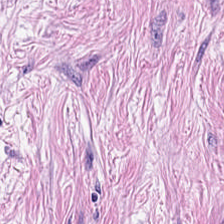Classification = cancer-associated stroma.
